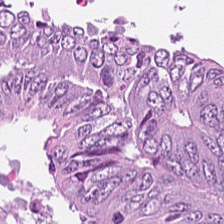224×224 px tile; H&E stain.
Predominant tissue: colorectal adenocarcinoma.
